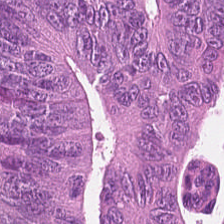0.5 microns per pixel. H&E stain.
Tissue class = colorectal adenocarcinoma.
